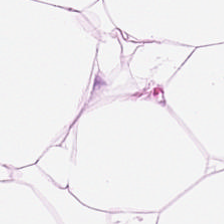Tissue class: adipose.
